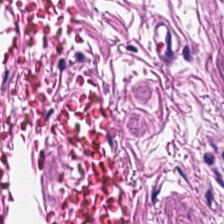Stain: hematoxylin-and-eosin stained section.
Acquisition: brightfield.
Resolution: 20× equivalent magnification.
Tissue class: smooth muscle.
